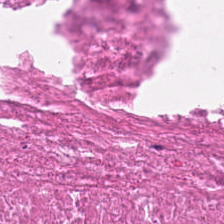{"tissue_type": "debris"}
